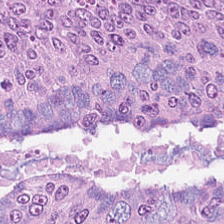0.5 µm/px; hematoxylin-and-eosin stained section — The tissue here is colorectal adenocarcinoma epithelium.
